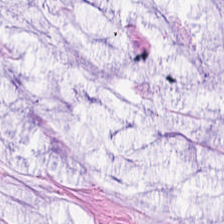H&E stain.
Q: Identify the tissue.
A: The field shows mucin.
